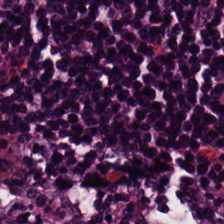H&E-stained tissue section — Q: What is shown in this field?
A: The field shows lymphocyte aggregate.
